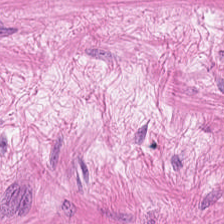Hematoxylin and eosin. This patch shows smooth-muscle tissue.
